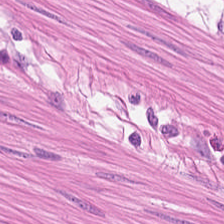H&E stain.
Predominantly smooth-muscle tissue.
